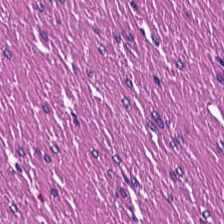Tissue type: muscularis.
